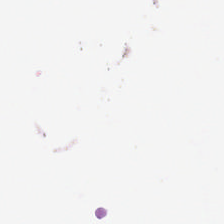Hematoxylin and eosin · formalin-fixed paraffin-embedded section. The classification is no tissue.
